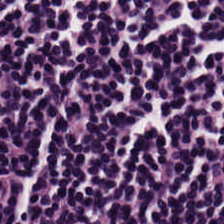Stain: hematoxylin and eosin.
Classification: lymphoid infiltrate.
